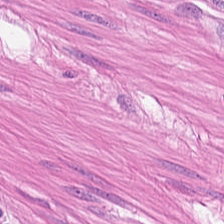Hematoxylin-and-eosin stained section — Tissue: smooth muscle.
